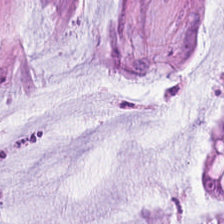H&E stain.
{"tissue_type": "mucus"}
